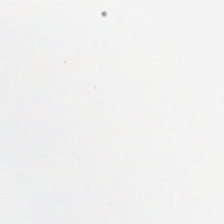Hematoxylin-and-eosin stained section; 224×224 px patch; FFPE tissue section — Finding → background.
